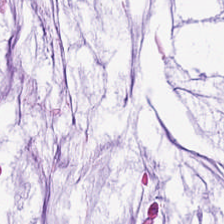20× equivalent magnification · 224×224 px tile · H&E stain.
This field is mucin.
